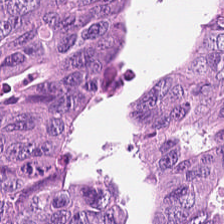Hematoxylin-and-eosin stained section.
Tissue type — tumor epithelium.
